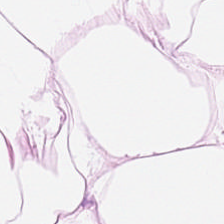Q: What tissue type is shown here?
A: This is adipose tissue.
